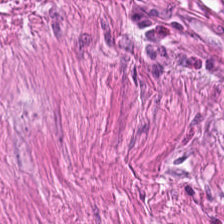0.5 microns per pixel; 224×224 px tile; H&E. Predominantly muscularis.
